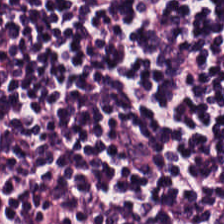H&E. The tissue here is lymphocytic infiltrate.
